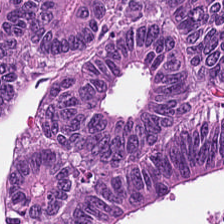FFPE · 224×224 px tile · H&E stain — Finding → colorectal adenocarcinoma.
